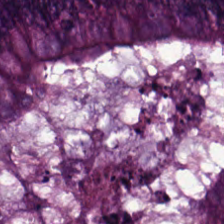H&E stain · brightfield microscopy. Tissue class = tumor epithelium.
